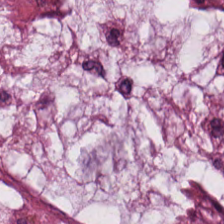Stain: H&E stain.
Acquisition: WSI patch.
Predominant tissue: mucin.
